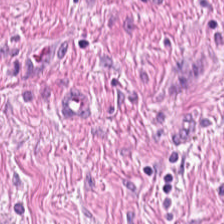H&E — Histology — muscularis.
